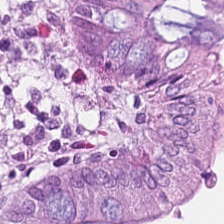H&E. WSI patch. 224×224 px patch. {"tissue_type": "normal colon mucosa"}
